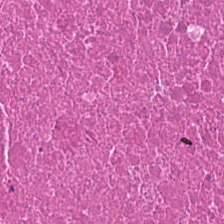Tissue = cellular debris.
